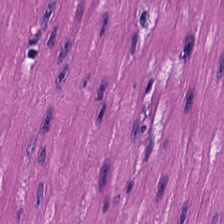H&E stain — Finding → smooth muscle.
